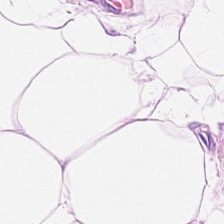FFPE tissue section; 224×224 px tile; hematoxylin and eosin.
Tissue: adipocytes.
